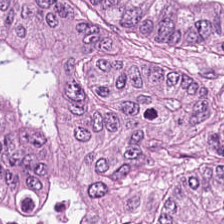Classification: colorectal adenocarcinoma.
